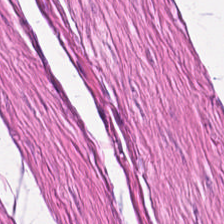Hematoxylin-and-eosin stained section. Smooth muscle.
